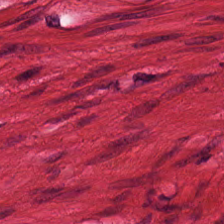H&E. 0.5 µm per pixel. Brightfield microscopy.
Finding — muscularis.
